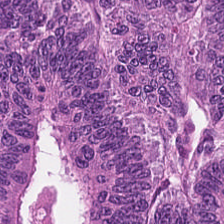H&E stain; FFPE — Q: What tissue is shown?
A: It is tumor epithelium.
